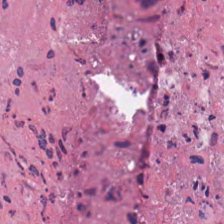{"tissue_type": "debris"}
